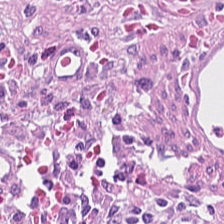Histology → cancer-associated stroma.
